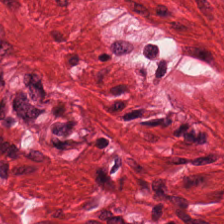20× equivalent magnification · H&E-stained tissue section · WSI patch. {"tissue_type": "smooth muscle"}
